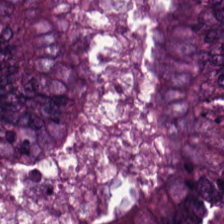H&E. 224×224 pixel tile. 0.5 µm/px.
Q: What type of tissue is this?
A: The field shows colorectal adenocarcinoma epithelium.
